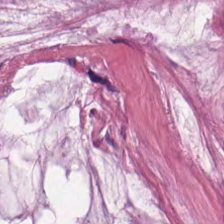The tissue class is mucin.
